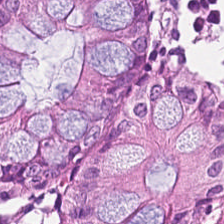Stain: H&E stain.
Predominant tissue: non-neoplastic colon mucosa.
